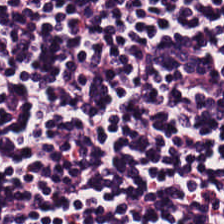{"tissue_type": "lymphoid infiltrate"}
